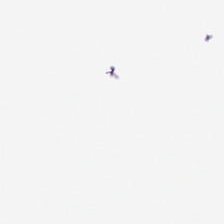This field is background (no tissue).
